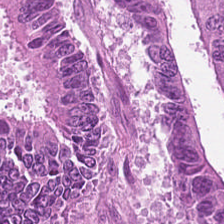Stain: H&E stain.
Classification: adenocarcinoma.
